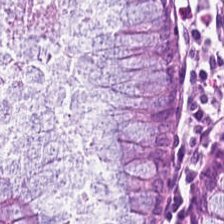Stain: H&E-stained tissue section.
Tissue: benign colonic mucosa.
